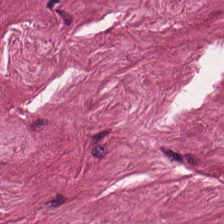Hematoxylin-and-eosin stained section.
Predominant tissue = tumor-associated stroma.
